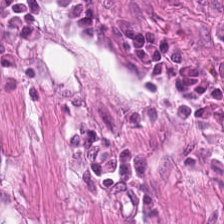H&E patch showing smooth muscle.
